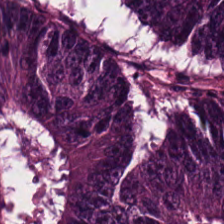H&E-stained tissue section — Adenocarcinoma.
